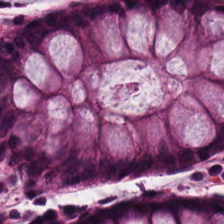Hematoxylin-and-eosin stained section — This field is normal colon mucosa.
